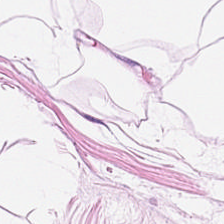Hematoxylin and eosin · 224×224 px tile. Predominant tissue — adipose.
